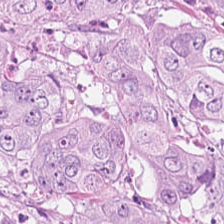Hematoxylin and eosin — Showing tumor epithelium.
